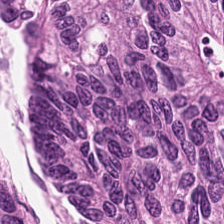Brightfield microscopy · hematoxylin and eosin · 224×224 px patch. Histology — colorectal adenocarcinoma.
